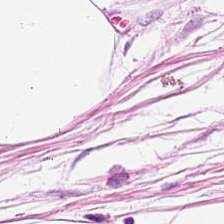Formalin-fixed paraffin-embedded section. H&E-stained tissue section.
Showing adipose.
